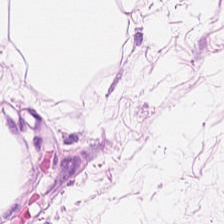Stain: hematoxylin-and-eosin stained section.
Acquisition: whole-slide-image patch.
Tissue type: adipocytes.
